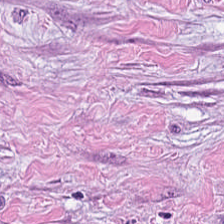Hematoxylin-and-eosin stained section — Showing cancer-associated stroma.
